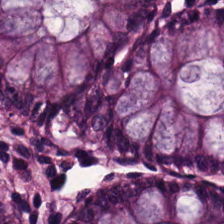H&E; FFPE — The predominant tissue is non-neoplastic colon mucosa.
